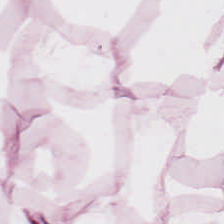H&E. 224×224 px patch. Brightfield. Predominantly adipose.
